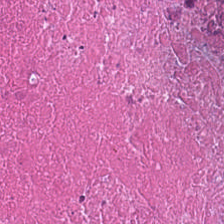H&E-stained tissue section. The tissue here is necrotic debris.
